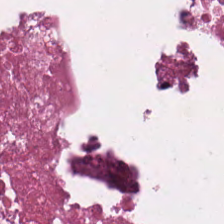20× equivalent magnification · hematoxylin and eosin. Histology → necrotic debris.
